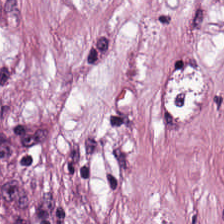H&E stain; whole-slide-image patch; 20× equivalent magnification.
The tissue here is desmoplastic stroma.
